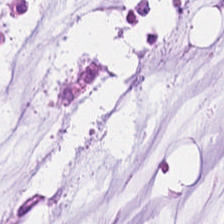Q: What is shown in this field?
A: Mucin.
